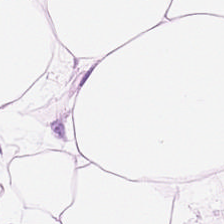Stain: hematoxylin-and-eosin stained section.
Classification: fat tissue.
